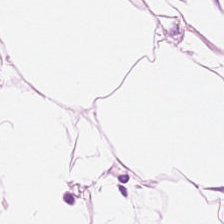Stain: H&E-stained tissue section.
Classification: fat tissue.
